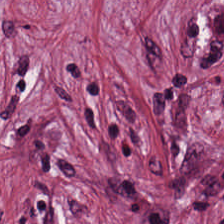{"tissue_type": "desmoplastic stroma"}
